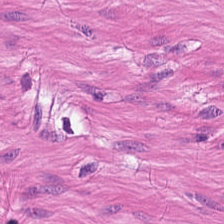Hematoxylin-and-eosin stained section.
This field is smooth muscle.
